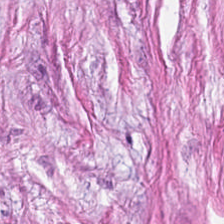224×224 pixel tile; hematoxylin and eosin; 20× equivalent magnification. The tissue here is tumor stroma.
